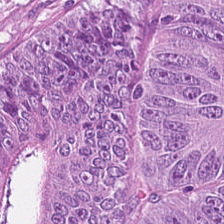H&E-stained section; the field shows malignant epithelium.
